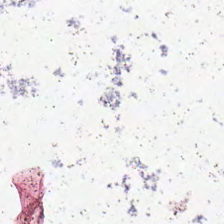H&E-stained tissue section. Q: What is shown in this field?
A: This is background (no tissue).
